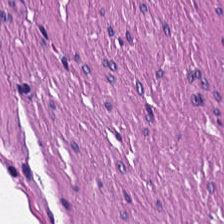Predominantly smooth-muscle tissue.
